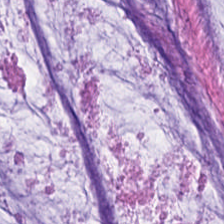Hematoxylin-and-eosin stained section; brightfield — The tissue here is mucus.
